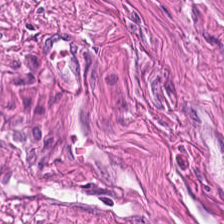Hematoxylin and eosin.
Tissue type: smooth-muscle tissue.
